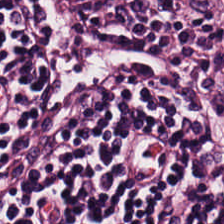Hematoxylin and eosin. {"tissue_type": "lymphocytic infiltrate"}
